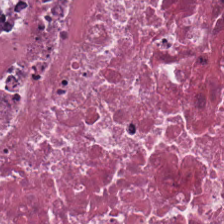The tissue here is necrotic debris.
